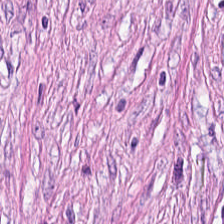FFPE; H&E-stained tissue section.
Predominantly cancer-associated stroma.
